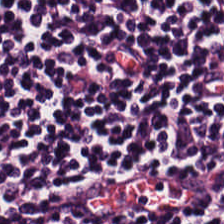H&E. The tissue here is lymphocytes.
